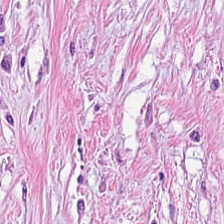Predominant tissue: desmoplastic stroma.
